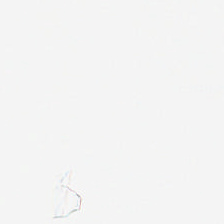Whole-slide-image patch; H&E stain.
Background — no tissue in this field.
